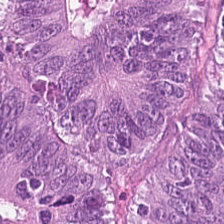Hematoxylin-and-eosin stained section · 224×224 px tile. This field is colorectal adenocarcinoma.
